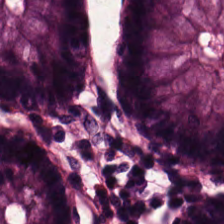H&E-stained tissue section · FFPE tissue section. Showing normal colonic mucosa.
